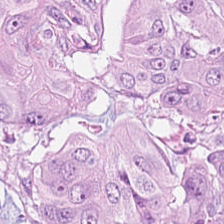Hematoxylin-and-eosin stained section · 0.5 µm/px. Q: What type of tissue is this?
A: It is adenocarcinoma.
